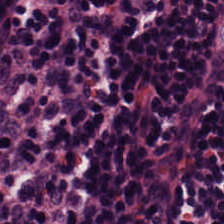H&E — The classification is lymphocytes.
